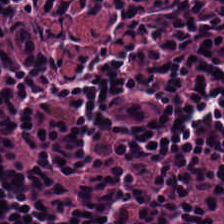Stain: hematoxylin-and-eosin stained section.
Acquisition: brightfield microscopy.
Predominant tissue: lymphocyte aggregate.
